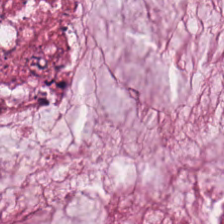Stain: H&E.
Resolution: 0.5 microns per pixel.
Tissue class: mucin.
